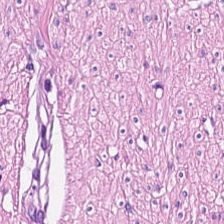FFPE tissue section · H&E — {"tissue_type": "muscularis"}
